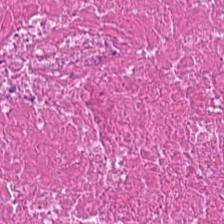Brightfield microscopy; hematoxylin-and-eosin stained section — Predominant tissue — necrotic debris.
